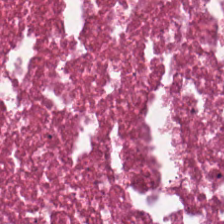The predominant tissue is cellular debris.
